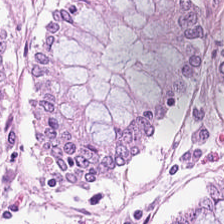224×224 px tile · H&E-stained tissue section — Q: What is the predominant tissue type?
A: The field shows benign colonic mucosa.
